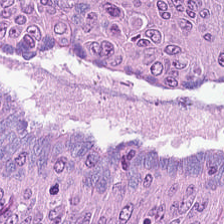Q: Classify this patch.
A: This is adenocarcinoma.
